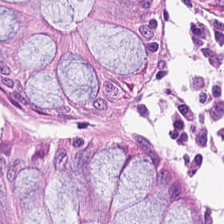H&E. Brightfield. 0.5 microns per pixel. Q: What is shown here?
A: The field shows benign colonic mucosa.
